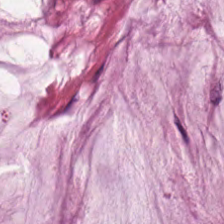H&E.
{"tissue_type": "mucus"}
